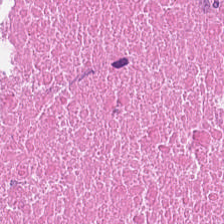H&E. Tissue type — debris.
